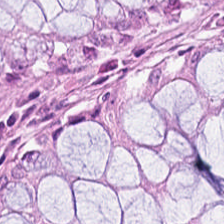Brightfield. Hematoxylin and eosin — Benign colonic mucosa.
